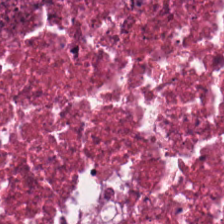H&E.
The tissue is necrotic debris.
